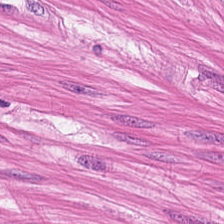H&E; whole-slide-image patch; formalin-fixed paraffin-embedded section.
This field is muscularis.
